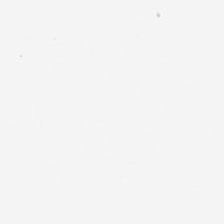H&E stain — Content: background.
